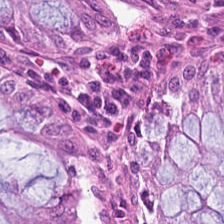H&E — Tissue type — normal colonic mucosa.
